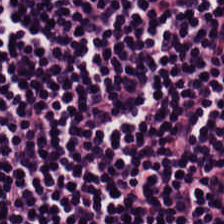H&E-stained tissue section. Classification = lymphocyte aggregate.
